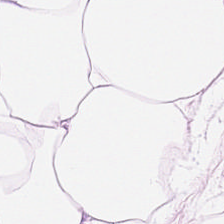Stain: hematoxylin and eosin.
Tissue type: adipose tissue.
